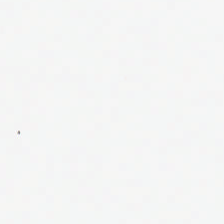0.5 µm per pixel; H&E — Q: What is shown in this field?
A: The field shows no tissue.
